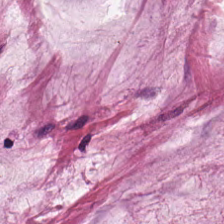Hematoxylin and eosin · brightfield. Tissue = extracellular mucin.
